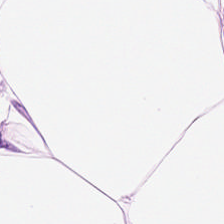Hematoxylin and eosin — Adipose.
